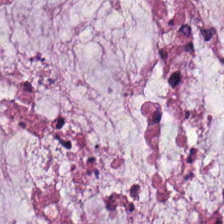Brightfield microscopy; H&E.
Tissue — extracellular mucin.
